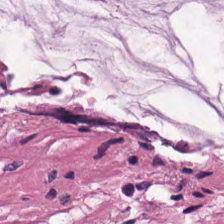224×224 px tile. H&E. 0.5 µm per pixel — Classification: mucus.
